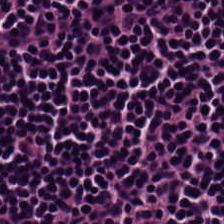Hematoxylin-and-eosin stained section.
This field is lymphoid infiltrate.
